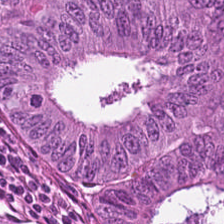Predominantly tumor epithelium.
